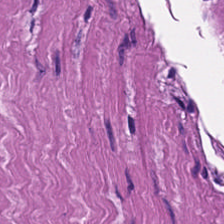H&E. FFPE.
Tissue type: muscularis.
